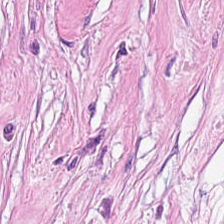Brightfield microscopy. Hematoxylin and eosin — This patch shows tumor-associated stroma.
